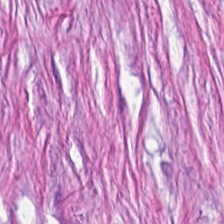Q: What tissue type is shown here?
A: This is cancer-associated stroma.
